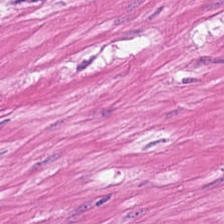H&E-stained tissue section. FFPE. 224×224 px tile.
Q: What is the predominant tissue type?
A: Muscularis.
